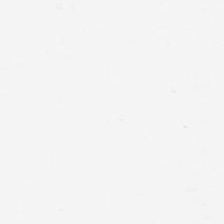H&E · brightfield microscopy.
Q: What does this patch show?
A: It is no tissue.
